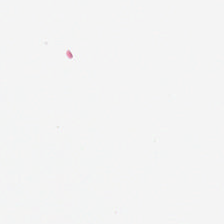Stain: H&E-stained tissue section.
Classification: background (no tissue).
